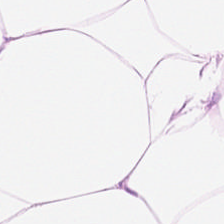0.5 µm/px · hematoxylin-and-eosin stained section — Q: Identify the tissue.
A: Adipose.
